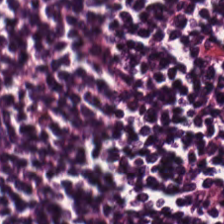H&E. The tissue here is lymphocytes.
